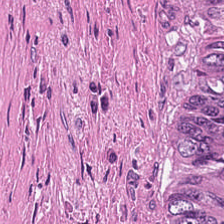224×224 px tile · H&E-stained tissue section · brightfield. Predominant tissue — cellular debris.
